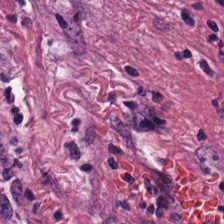H&E — Showing cancer-associated stroma.
